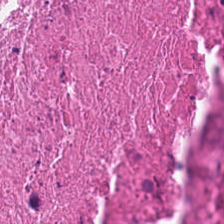The tissue here is debris.
